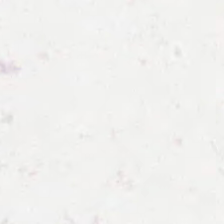H&E-stained tissue section.
Histology → background (no tissue).
